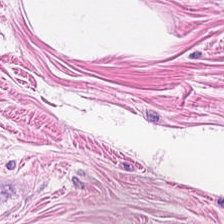Hematoxylin and eosin.
Showing smooth muscle.
